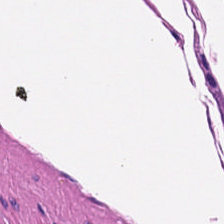The classification is smooth-muscle tissue.
